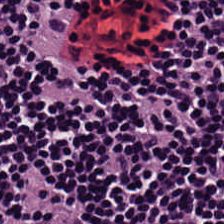0.5 microns per pixel · brightfield · H&E stain — Q: What tissue type is shown here?
A: This is lymphocyte aggregate.
